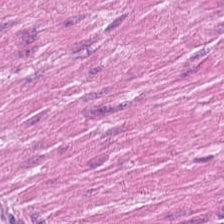224×224 px patch; hematoxylin and eosin — Q: Classify this patch.
A: This is muscularis.
